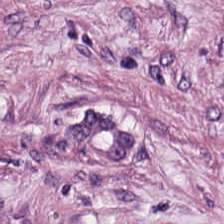Q: What is the predominant tissue type?
A: This is cancer-associated stroma.
